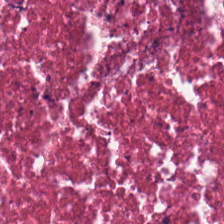Hematoxylin and eosin.
Cellular debris.
